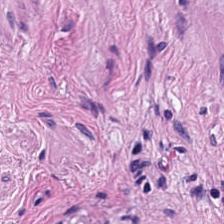Histology → muscularis.
